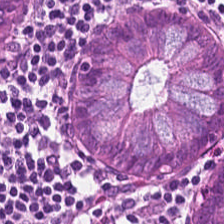H&E · 0.5 µm/px · 224×224 px tile — Histology — benign colonic mucosa.
